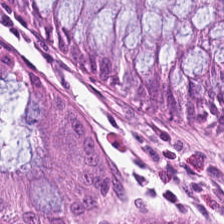H&E stain.
{"tissue_type": "normal colon mucosa"}
